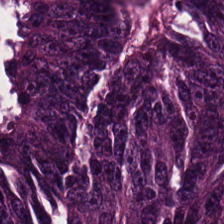Hematoxylin-and-eosin stained section; brightfield microscopy.
{"tissue_type": "colorectal adenocarcinoma epithelium"}
